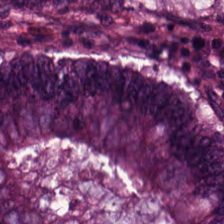H&E stain — Classification = tumor epithelium.
